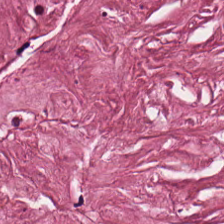FFPE tissue section · 0.5 µm/px · H&E-stained tissue section — The predominant tissue is tumor stroma.
